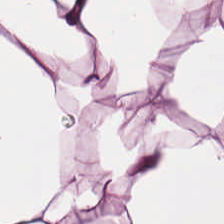224×224 px tile; H&E stain. {"tissue_type": "fat tissue"}
